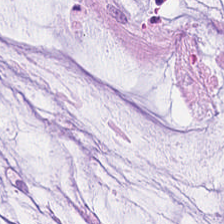This patch shows extracellular mucin.
